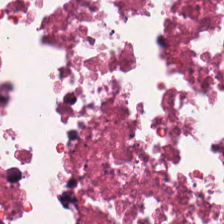Hematoxylin-and-eosin stained section.
Predominantly necrotic debris.
